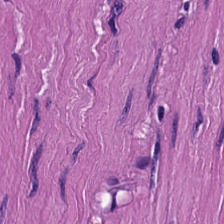H&E stain; brightfield; 20× equivalent magnification.
Tissue = smooth muscle.
